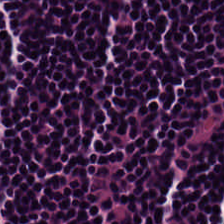H&E. Q: What type of tissue is this?
A: The field shows lymphocytic infiltrate.
